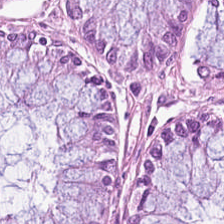H&E — Classification: non-neoplastic colon mucosa.
